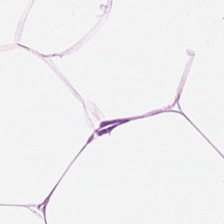H&E-stained tissue section.
Adipocytes.
